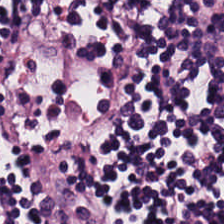Whole-slide-image patch; H&E-stained tissue section; 224×224 pixel tile — This patch shows lymphocytes.
